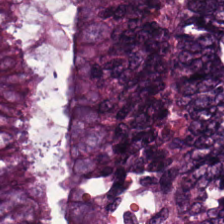Hematoxylin and eosin. Whole-slide-image patch.
This patch shows colorectal adenocarcinoma epithelium.
